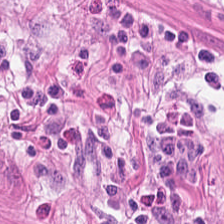Q: What is shown here?
A: This is smooth muscle.
